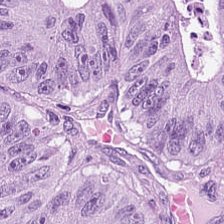Hematoxylin-and-eosin stained section · formalin-fixed paraffin-embedded section — Q: What does this patch show?
A: It is colorectal adenocarcinoma epithelium.
